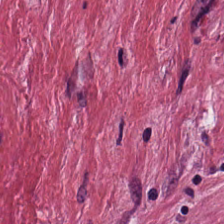224×224 px tile · H&E-stained tissue section.
Q: Identify the tissue.
A: This is tumor stroma.
